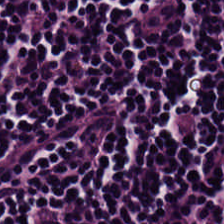This patch shows lymphocytes.
